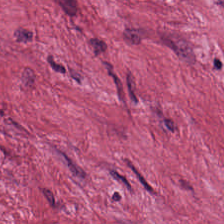Tumor-associated stroma.
